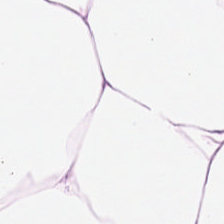Hematoxylin and eosin.
Adipocytes.
